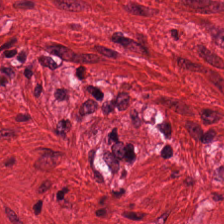Predominant tissue = smooth-muscle tissue.
